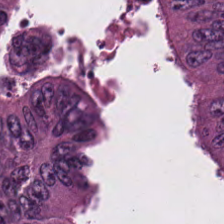This field is adenocarcinoma.
